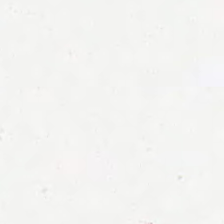H&E-stained tissue section.
Classification — background.
